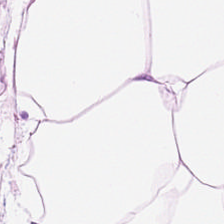Brightfield · H&E stain. The tissue here is adipocytes.
